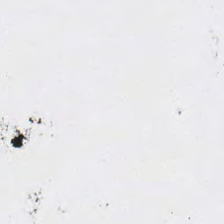Hematoxylin and eosin — This patch shows background.
